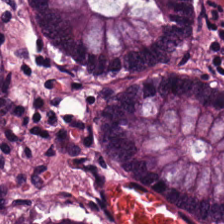Predominant tissue: normal colon mucosa.
